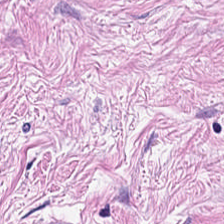H&E-stained tissue section; formalin-fixed paraffin-embedded section — Predominant tissue — cancer-associated stroma.
